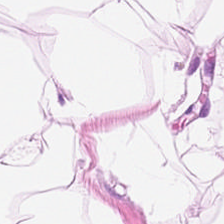H&E-stained tissue section.
Tissue = adipose.
